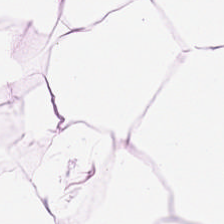Q: What is shown in this field?
A: This is fat tissue.
